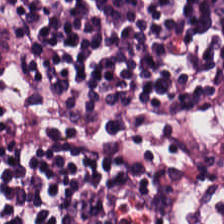Stain: H&E stain.
Predominant tissue: lymphoid infiltrate.
